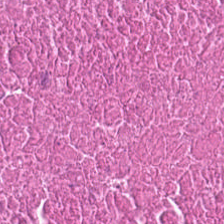H&E stain — Q: What is shown here?
A: It is necrotic debris.
